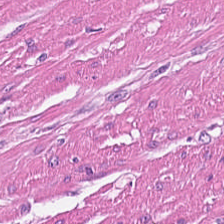Predominant tissue: smooth-muscle tissue.
